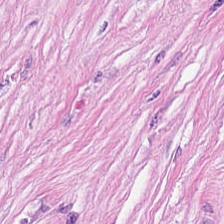Hematoxylin and eosin.
Predominant tissue: tumor stroma.
